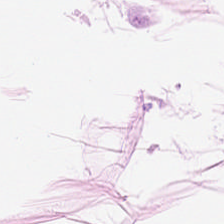Adipose.
